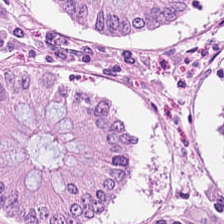Hematoxylin and eosin — The classification is benign colonic mucosa.
